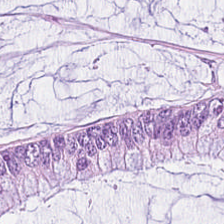Stain: hematoxylin and eosin.
Preparation: formalin-fixed paraffin-embedded section.
Tile size: 224×224 pixel tile.
Tissue: mucin.
